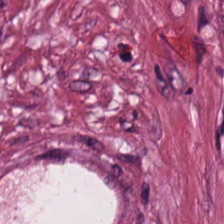H&E.
Showing tumor stroma.
